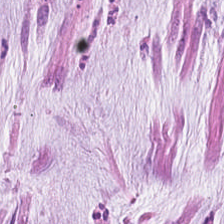H&E. 0.5 microns per pixel.
Classification = mucus.
